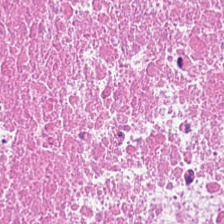H&E stain.
This patch shows debris.
